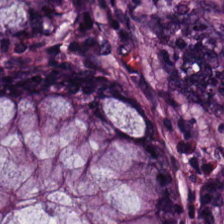H&E.
Predominantly benign colonic mucosa.
